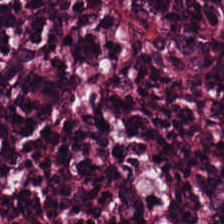Brightfield · hematoxylin-and-eosin stained section. Histology — lymphocytic infiltrate.
